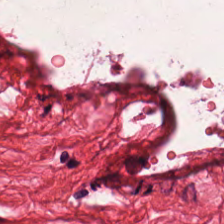H&E stain · 0.5 microns per pixel · WSI patch. Q: What does this patch show?
A: This is smooth-muscle tissue.
